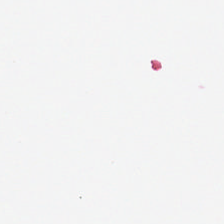0.5 µm/px; FFPE; H&E. This field is background (no tissue).
